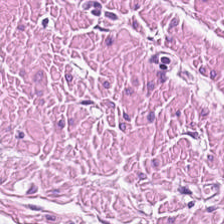H&E · 224×224 pixel tile — This patch shows smooth-muscle tissue.
